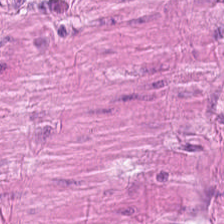Hematoxylin-and-eosin stained section — This patch shows smooth muscle.
